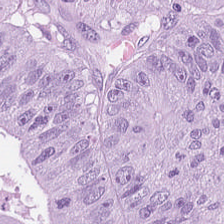H&E-stained tissue section. The predominant tissue is colorectal adenocarcinoma.
